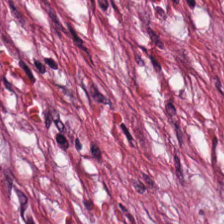Stain: H&E stain.
Tissue: tumor stroma.
